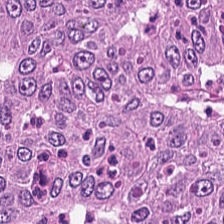Stain: H&E.
Preparation: FFPE tissue section.
Predominant tissue: colorectal adenocarcinoma.
